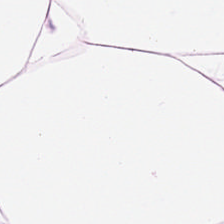H&E-stained tissue section · 20× equivalent magnification · 224×224 pixel tile.
Adipose tissue.
